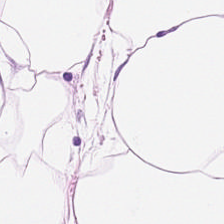H&E-stained section; the field shows adipose tissue.
